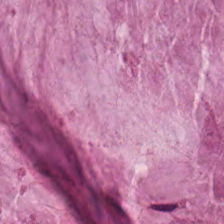H&E. 0.5 µm/px. Classification — extracellular mucin.
